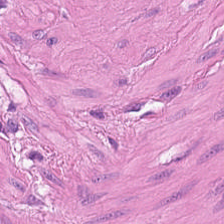Stain: hematoxylin and eosin.
Classification: muscularis.
